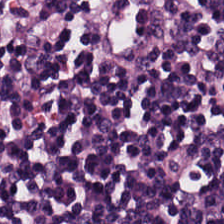H&E-stained tissue section — Histology → lymphocytic infiltrate.
